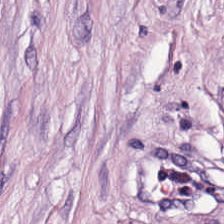H&E stain. Histology — tumor stroma.
